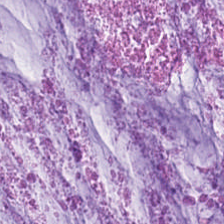Hematoxylin and eosin · brightfield.
This patch shows extracellular mucin.
